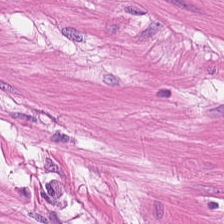Classification = smooth muscle.
